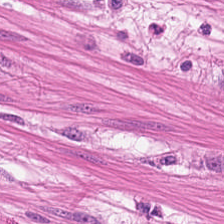224×224 pixel tile · H&E-stained tissue section — This patch shows smooth muscle.
